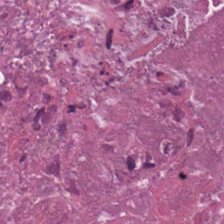Tissue type — cellular debris.
